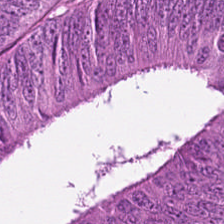H&E-stained section; the field shows tumor epithelium.
